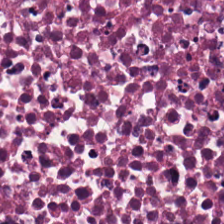Hematoxylin and eosin — Q: What is shown here?
A: It is debris.
